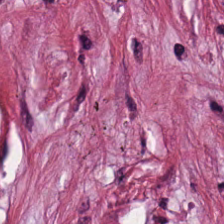Hematoxylin and eosin.
Showing cancer-associated stroma.
